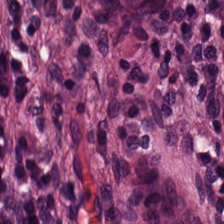Tissue type: normal colonic mucosa.
